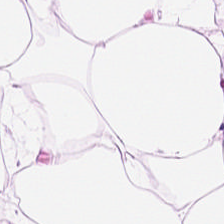0.5 µm/px. H&E-stained tissue section. FFPE. Fat tissue.
